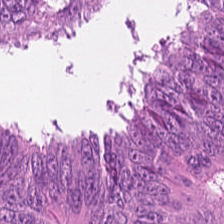H&E stain. Predominantly adenocarcinoma.
